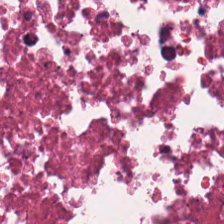Hematoxylin-and-eosin stained section — Predominantly cellular debris.
